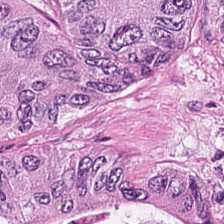Hematoxylin and eosin; brightfield microscopy. Q: What is shown here?
A: It is adenocarcinoma.
